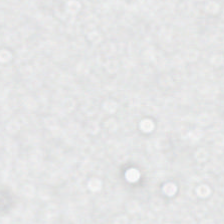Hematoxylin-and-eosin stained section — {"content": "no tissue"}
